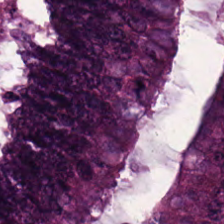Hematoxylin and eosin; 20× equivalent magnification; 224×224 pixel tile. Q: What type of tissue is this?
A: This is tumor epithelium.
